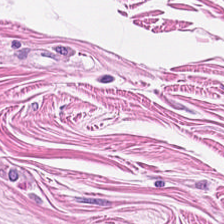Hematoxylin and eosin — Tissue class = smooth-muscle tissue.
